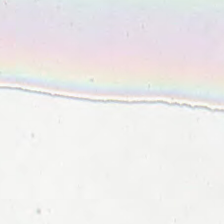Hematoxylin-and-eosin stained section. Content: empty background.
